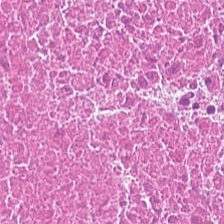Hematoxylin and eosin — This field is necrotic debris.
